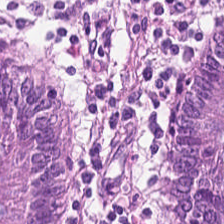Brightfield microscopy · hematoxylin-and-eosin stained section — Benign colonic mucosa.
